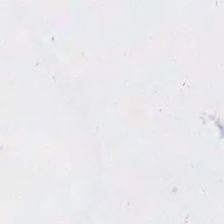Formalin-fixed paraffin-embedded section. Hematoxylin and eosin. Finding — background (no tissue).
